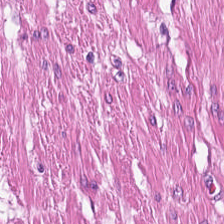Brightfield · 224×224 pixel tile · H&E stain. Q: What tissue is shown?
A: It is muscularis.
